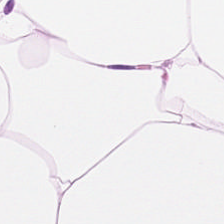H&E; brightfield — Predominantly adipocytes.
